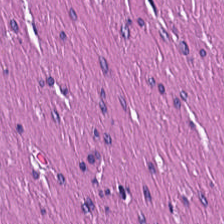Hematoxylin-and-eosin stained section. Brightfield microscopy — The predominant tissue is smooth muscle.
